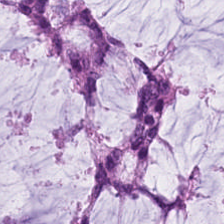H&E-stained tissue section showing mucus.
